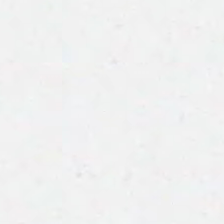Hematoxylin and eosin — Empty field — no tissue.
